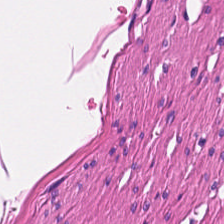Impression → smooth-muscle tissue.
